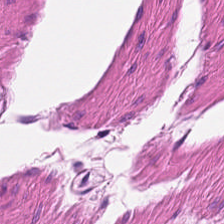Whole-slide-image patch. Hematoxylin-and-eosin stained section.
Q: Classify this patch.
A: This is muscularis.
